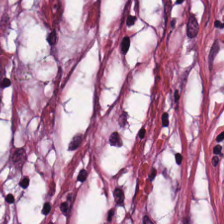H&E stain; 20× equivalent magnification. Q: What is the predominant tissue type?
A: This is tumor-associated stroma.
